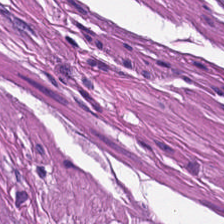{"tissue_type": "muscularis"}
